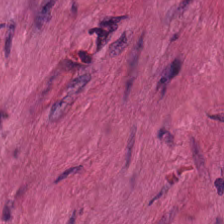H&E — smooth muscle.
